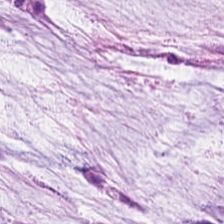Stain: hematoxylin and eosin.
Resolution: 0.5 microns per pixel.
Predominant tissue: mucin.
